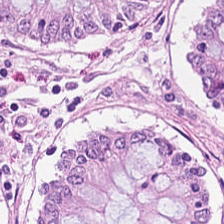H&E — Tissue class — normal colonic mucosa.
